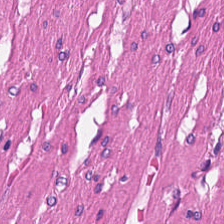224×224 px tile · H&E stain · FFPE tissue section.
Tissue type — muscularis.
